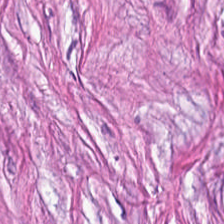Hematoxylin-and-eosin stained section — Desmoplastic stroma.
